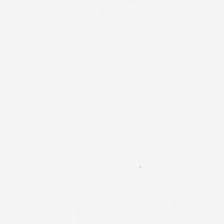Empty background.
